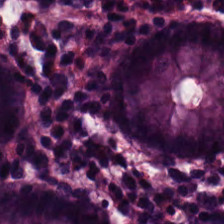H&E-stained tissue section. Classification = non-neoplastic colon mucosa.
